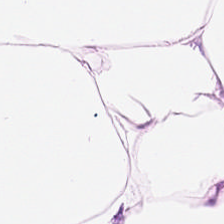H&E.
Predominantly adipose.
